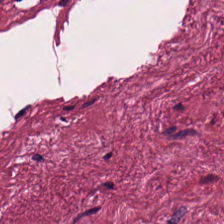Stain: H&E.
Resolution: 0.5 microns per pixel.
Tissue type: cancer-associated stroma.
